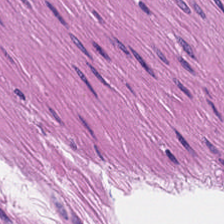H&E.
Tissue: smooth-muscle tissue.
